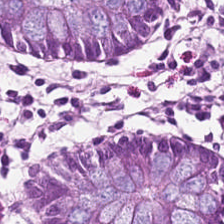H&E. WSI patch — The tissue class is benign colonic mucosa.
